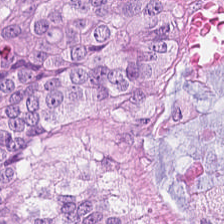Hematoxylin-and-eosin stained section. Predominantly tumor epithelium.
